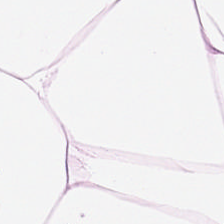Stain: hematoxylin-and-eosin stained section.
Predominant tissue: adipocytes.
